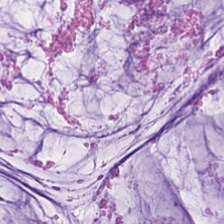Hematoxylin-and-eosin stained section · 0.5 µm/px · brightfield.
The tissue here is mucin.
